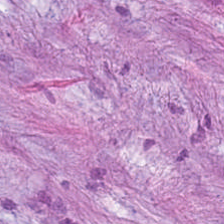Stain: hematoxylin-and-eosin stained section.
Tissue type: cancer-associated stroma.
